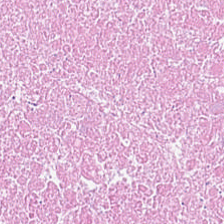Hematoxylin and eosin.
Tissue: necrotic debris.
